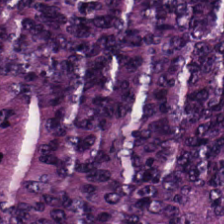Hematoxylin and eosin; 224×224 pixel tile; formalin-fixed paraffin-embedded section.
Histology → colorectal adenocarcinoma.
